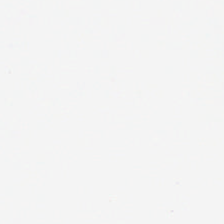Q: What does this patch show?
A: This is background.
